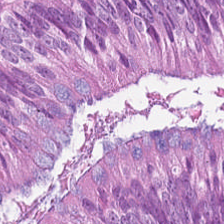Hematoxylin-and-eosin stained section · FFPE tissue section. This patch shows malignant epithelium.
